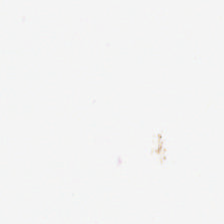224×224 px tile. Hematoxylin and eosin. Finding → empty background.
